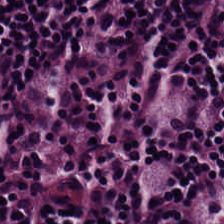Predominantly lymphocytic infiltrate.
